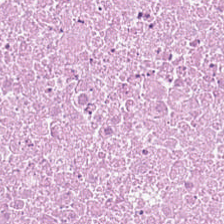Stain: H&E-stained tissue section.
Preparation: FFPE tissue section.
Acquisition: whole-slide-image patch.
Predominant tissue: debris.
